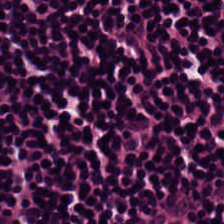Stain: H&E stain.
Acquisition: WSI patch.
Tissue type: lymphoid infiltrate.
